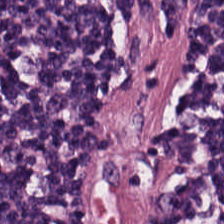Hematoxylin-and-eosin stained section · 224×224 px tile · brightfield microscopy. Predominantly lymphocytic infiltrate.
